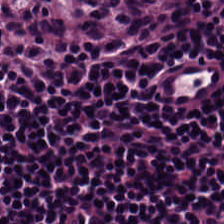H&E. The predominant tissue is lymphocyte aggregate.
